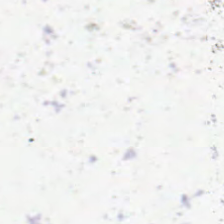This field is background (no tissue).
